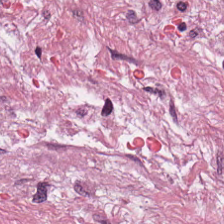The tissue is tumor-associated stroma.
